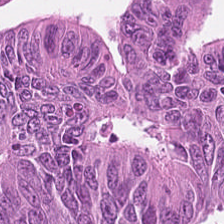H&E stain.
{"tissue_type": "malignant epithelium"}
